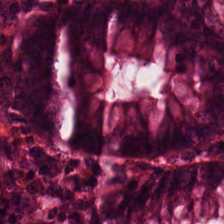Stain: H&E.
Tissue class: normal colon mucosa.
